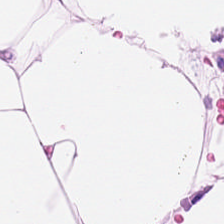Showing adipose.
